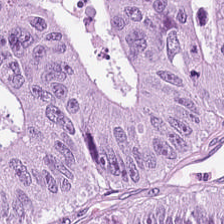Stain: hematoxylin-and-eosin stained section.
Resolution: 0.5 µm per pixel.
Tissue class: adenocarcinoma.
